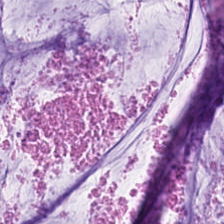H&E stain · FFPE tissue section.
Finding → mucin.
